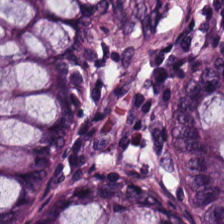224×224 pixel tile. H&E stain. WSI patch. The tissue type is non-neoplastic colon mucosa.
